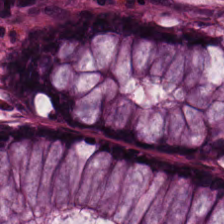Formalin-fixed paraffin-embedded section; H&E stain.
Predominantly normal colonic mucosa.
